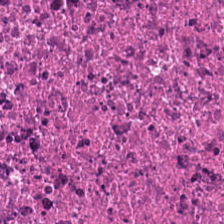Hematoxylin and eosin · 224×224 px patch.
Showing necrotic debris.
